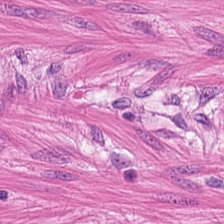224×224 px tile; H&E. Showing muscularis.
